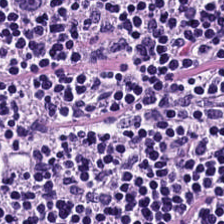224×224 px tile; hematoxylin-and-eosin stained section.
This field is lymphocyte aggregate.
